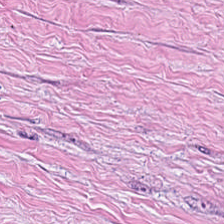H&E — Showing desmoplastic stroma.
